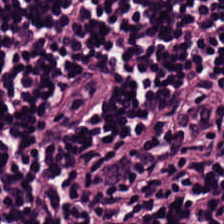Hematoxylin-and-eosin stained section.
{"tissue_type": "lymphoid infiltrate"}
